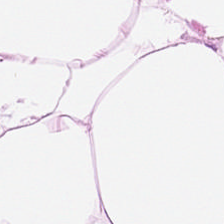H&E — This patch shows adipocytes.
